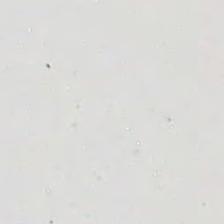H&E stain. Brightfield. Q: Classify this patch.
A: It is no tissue.
